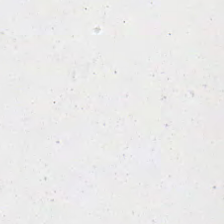Stain: hematoxylin and eosin.
Field content: no tissue.
